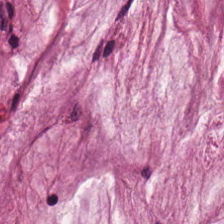Hematoxylin-and-eosin stained section. Histology — extracellular mucin.
